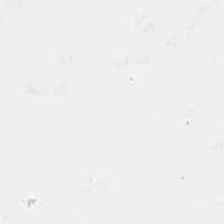Hematoxylin and eosin.
This patch shows background (no tissue).
